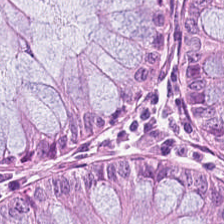Hematoxylin and eosin. Predominant tissue = normal colonic mucosa.
